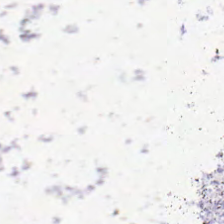Hematoxylin-and-eosin stained section. 224×224 px patch — Field content: no tissue.
